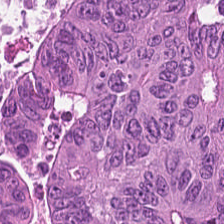Formalin-fixed paraffin-embedded section · hematoxylin and eosin. Q: Identify the tissue.
A: This is colorectal adenocarcinoma epithelium.
